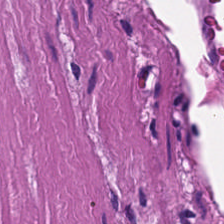Hematoxylin-and-eosin stained section. Smooth-muscle tissue.
